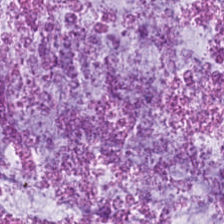H&E stain · 0.5 µm/px. Mucus.
